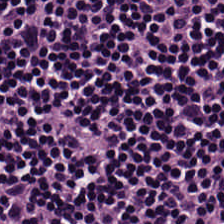Hematoxylin and eosin. Q: What is shown in this field?
A: Lymphoid infiltrate.
